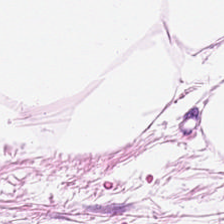Stain: H&E.
Tissue: adipocytes.
